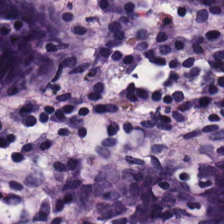Hematoxylin-and-eosin section: benign colonic mucosa.
